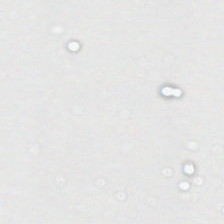Hematoxylin and eosin. Q: Classify this patch.
A: The field shows no tissue.
